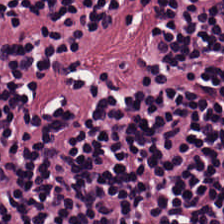H&E stain. The tissue here is lymphoid infiltrate.
